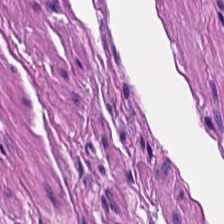Hematoxylin-and-eosin stained section. Formalin-fixed paraffin-embedded section.
Q: What type of tissue is this?
A: The field shows smooth muscle.
